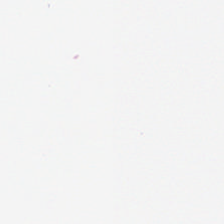No tissue present; background only.
